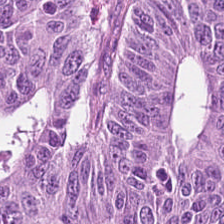Hematoxylin and eosin. 224×224 pixel tile.
Classification = adenocarcinoma.
